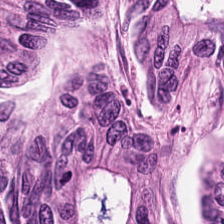H&E. The tissue here is colorectal adenocarcinoma.
